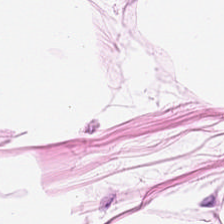Hematoxylin-and-eosin stained section. 224×224 px tile. Q: What does this patch show?
A: It is adipocytes.
